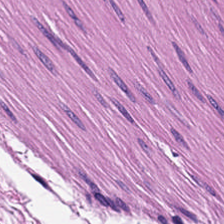H&E — The tissue class is smooth muscle.
